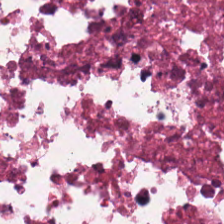H&E-stained tissue section. WSI patch. Formalin-fixed paraffin-embedded section. Q: What tissue type is shown here?
A: The field shows debris.
